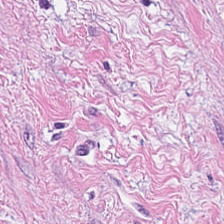H&E stain; FFPE tissue section. Predominantly tumor stroma.
